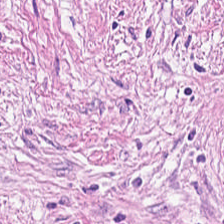H&E; formalin-fixed paraffin-embedded section — Q: Classify this patch.
A: It is cancer-associated stroma.
